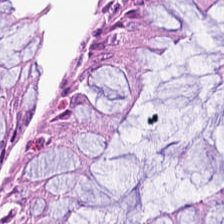Hematoxylin-and-eosin stained section.
Predominantly normal colon mucosa.
